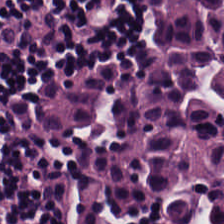H&E stain. Q: Classify this patch.
A: It is lymphocytes.
